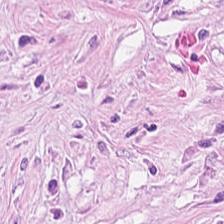Finding → cancer-associated stroma.
